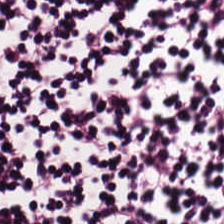Stain: H&E stain.
Classification: lymphoid infiltrate.
